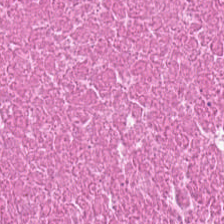H&E-stained tissue section. Necrotic debris.
